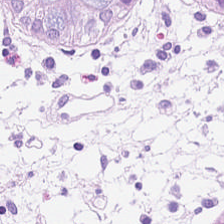Hematoxylin-and-eosin section: normal colonic mucosa.
